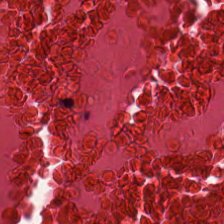The tissue type is necrotic debris.
